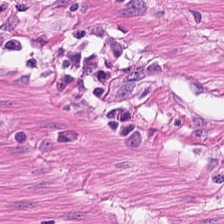WSI patch · hematoxylin and eosin — Q: What type of tissue is this?
A: It is smooth-muscle tissue.
